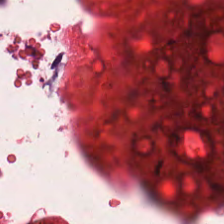The tissue type is smooth-muscle tissue.
